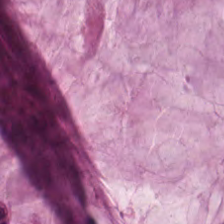0.5 µm/px; H&E. Q: What does this patch show?
A: This is mucin.
